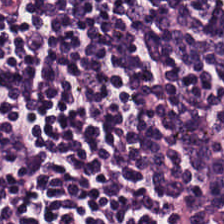Hematoxylin-and-eosin stained section — This field is lymphocytes.
